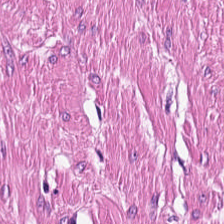Stain: H&E.
Classification: muscularis.
